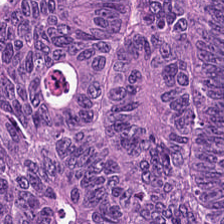H&E · WSI patch — Q: What is shown in this field?
A: This is tumor epithelium.
